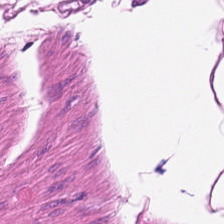224×224 pixel tile; H&E — Q: What does this patch show?
A: The field shows smooth-muscle tissue.
